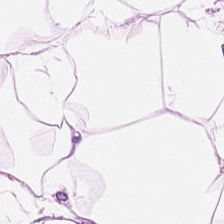Hematoxylin-and-eosin stained section. Impression — adipocytes.
